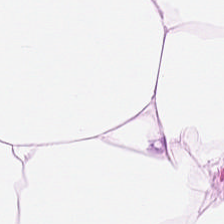Q: What tissue type is shown here?
A: Adipose.
